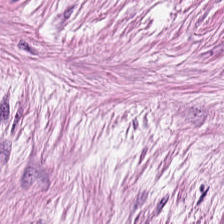H&E-stained tissue section; whole-slide-image patch.
Histology — desmoplastic stroma.
